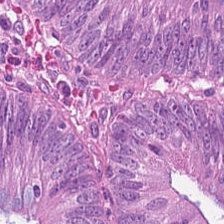H&E stain.
This field is colorectal adenocarcinoma.
